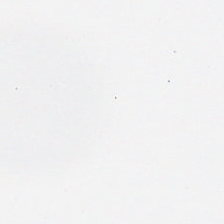224×224 pixel tile; H&E-stained tissue section — This patch shows background (no tissue).
